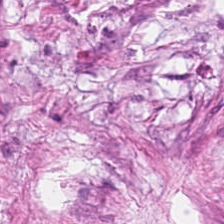H&E-stained section; the field shows tumor-associated stroma.
